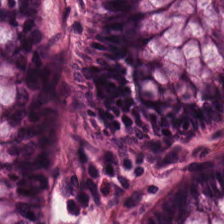Hematoxylin-and-eosin stained section — Classification — normal colon mucosa.
